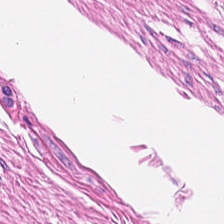0.5 µm/px; FFPE; hematoxylin and eosin.
Q: What is shown in this field?
A: It is smooth-muscle tissue.
